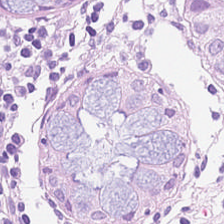Hematoxylin-and-eosin stained section. Q: Identify the tissue.
A: The field shows normal colonic mucosa.
